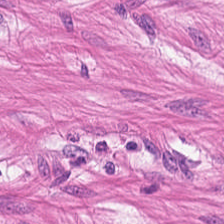H&E — Smooth-muscle tissue.
